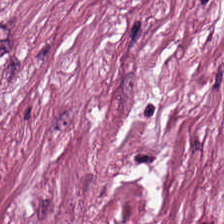Hematoxylin and eosin · 0.5 µm per pixel. The predominant tissue is desmoplastic stroma.
